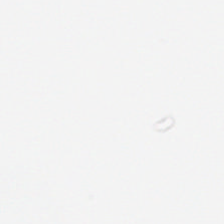Hematoxylin and eosin. Q: What is shown here?
A: It is background.
